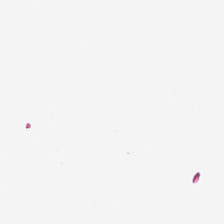H&E-stained tissue section.
Background — no tissue in this field.
